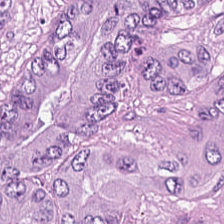Hematoxylin-and-eosin stained section. 0.5 µm/px. Brightfield — The predominant tissue is colorectal adenocarcinoma.
